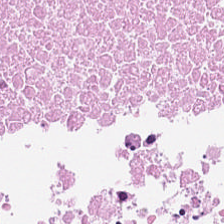H&E. This field is cellular debris.
